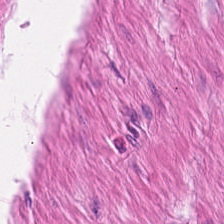H&E-stained tissue section — Classification — smooth muscle.
